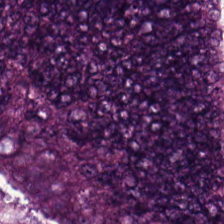{"tissue_type": "adenocarcinoma"}
